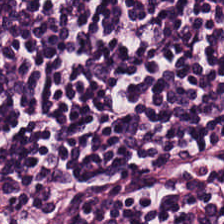Q: Identify the tissue.
A: This is lymphocytes.
